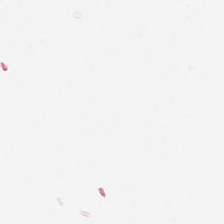H&E. Brightfield microscopy.
Empty field — background.
